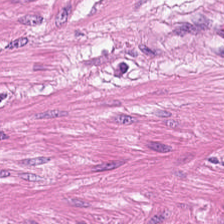Formalin-fixed paraffin-embedded section; H&E-stained tissue section; 0.5 µm per pixel. Q: What is the predominant tissue type?
A: The field shows smooth muscle.
